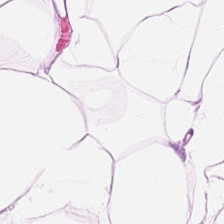H&E-stained tissue section. This field is adipose.
